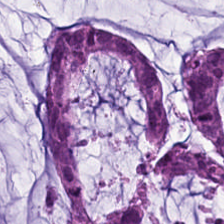Q: What tissue is shown?
A: This is extracellular mucin.
